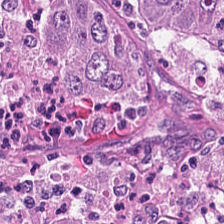Formalin-fixed paraffin-embedded section. WSI patch. H&E.
Histology — colorectal adenocarcinoma epithelium.
